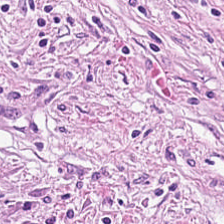This field is tumor-associated stroma.
